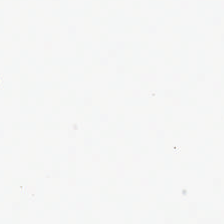Stain: H&E stain.
Field content: empty background.
